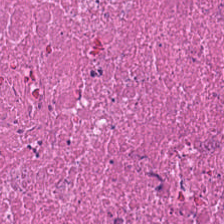H&E. Tissue: cellular debris.
